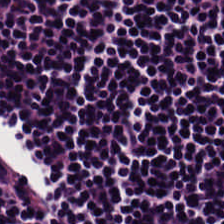H&E-stained tissue section.
Tissue class = lymphocytic infiltrate.
